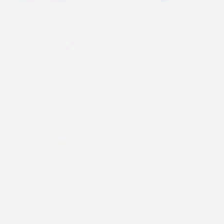Classification: no tissue.
